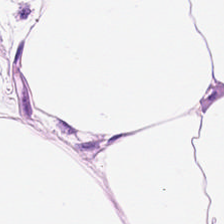Hematoxylin-and-eosin stained section; WSI patch.
Q: What tissue type is shown here?
A: This is adipose tissue.
